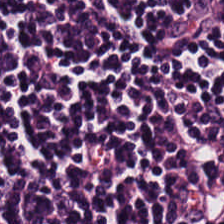Q: What type of tissue is this?
A: This is lymphocyte aggregate.
